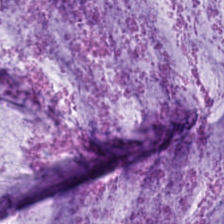Hematoxylin-and-eosin stained section. Impression — mucin.
